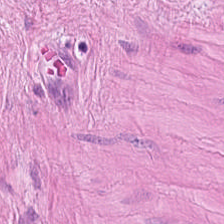Hematoxylin and eosin — The tissue is smooth-muscle tissue.
